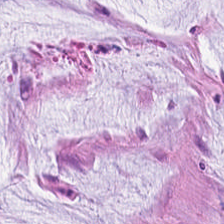H&E stain · 20× equivalent magnification.
This patch shows mucin.
